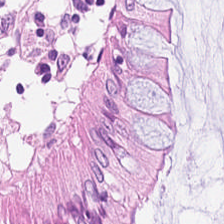FFPE tissue section; H&E. Q: What does this patch show?
A: Non-neoplastic colon mucosa.
